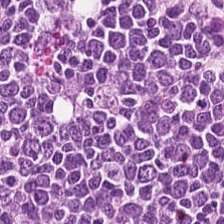H&E-stained tissue section. 224×224 pixel tile.
Impression — lymphocyte aggregate.
